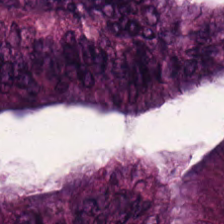Hematoxylin and eosin. Q: What is shown in this field?
A: Colorectal adenocarcinoma.
